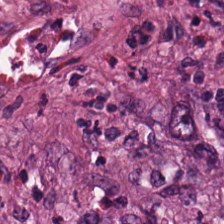224×224 px tile · brightfield microscopy · H&E.
Tissue class: tumor stroma.
